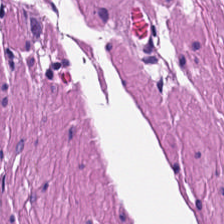Hematoxylin and eosin — Smooth-muscle tissue.
